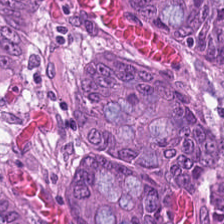224×224 px patch. Hematoxylin-and-eosin stained section. Formalin-fixed paraffin-embedded section. {"tissue_type": "tumor epithelium"}
